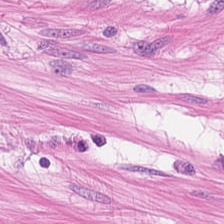Hematoxylin-and-eosin stained section.
The predominant tissue is smooth-muscle tissue.
